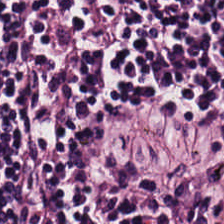Hematoxylin and eosin.
Impression — lymphocytic infiltrate.
